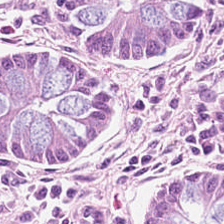Stain: H&E.
Acquisition: brightfield microscopy.
Preparation: FFPE.
Predominant tissue: normal colon mucosa.
